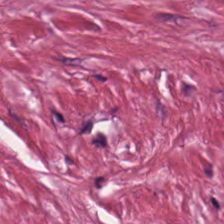H&E.
Tumor stroma.
